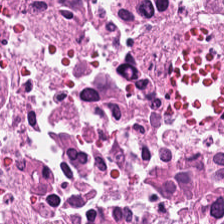Classification = necrotic debris.
